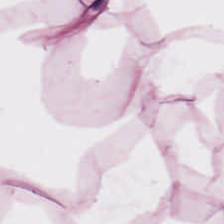Classification = adipose tissue.
